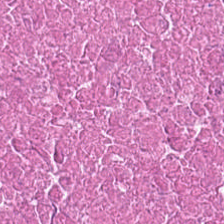224×224 px patch. H&E-stained tissue section. Predominantly cellular debris.
